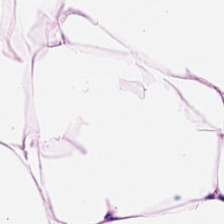Histology — adipocytes.
